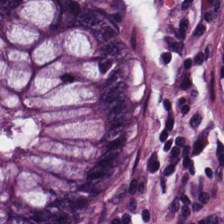The classification is normal colonic mucosa.
